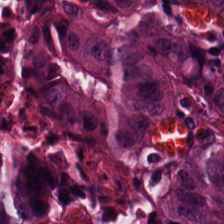H&E stain.
{"tissue_type": "malignant epithelium"}
